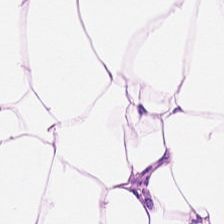H&E-stained section; the field shows adipocytes.
